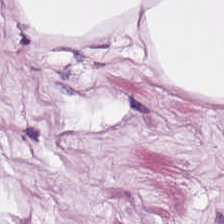224×224 px tile. Formalin-fixed paraffin-embedded section. Hematoxylin and eosin. This patch shows adipose tissue.
